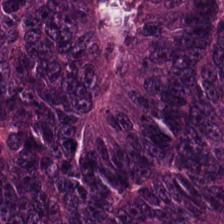Stain: hematoxylin and eosin.
Tile size: 224×224 px tile.
Tissue type: colorectal adenocarcinoma.
